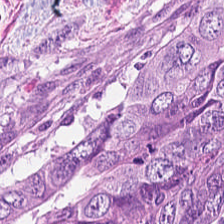Finding → tumor epithelium.
